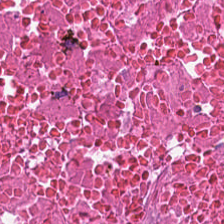224×224 pixel tile · H&E stain. Q: What is shown in this field?
A: Cellular debris.
